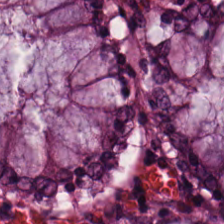The tissue class is benign colonic mucosa.
